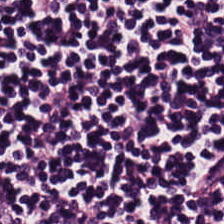224×224 px tile; FFPE; H&E stain.
The tissue here is lymphoid infiltrate.
